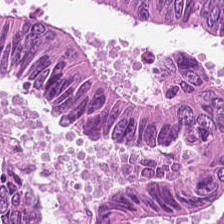Q: What tissue type is shown here?
A: This is malignant epithelium.
